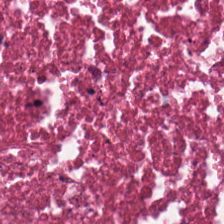FFPE. H&E stain. The classification is cellular debris.
